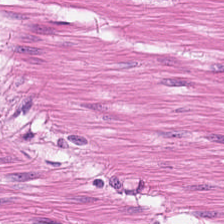H&E-stained tissue section.
Tissue type = muscularis.
